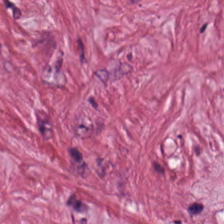Q: What tissue type is shown here?
A: This is tumor-associated stroma.
